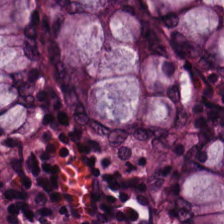FFPE. 0.5 microns per pixel. H&E stain — Q: What is shown here?
A: The field shows normal colonic mucosa.
